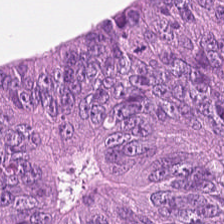Q: What tissue type is shown here?
A: The field shows colorectal adenocarcinoma.
